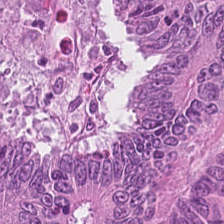Brightfield. Hematoxylin-and-eosin stained section — {"tissue_type": "malignant epithelium"}
